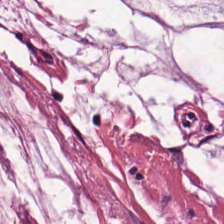Impression — extracellular mucin.
